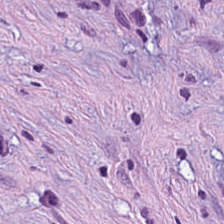Stain: H&E-stained tissue section.
Tissue class: tumor-associated stroma.
